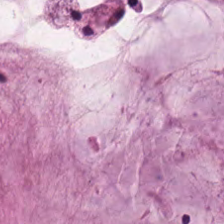The tissue here is mucin.
